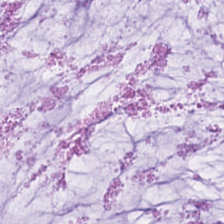H&E-stained tissue section. The predominant tissue is mucin.
